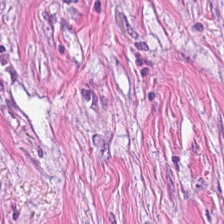H&E stain — Tissue = tumor-associated stroma.
